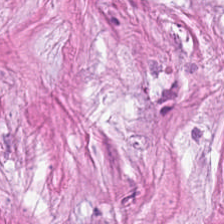FFPE tissue section. H&E stain.
The tissue is tumor-associated stroma.
